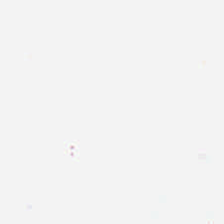224×224 pixel tile; H&E — Q: What is shown in this field?
A: It is background.
